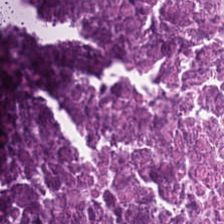The tissue here is cellular debris.
